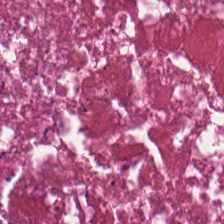Hematoxylin and eosin. This patch shows debris.
